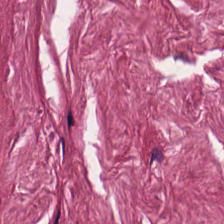Stain: H&E-stained tissue section.
Resolution: 20× equivalent magnification.
Preparation: FFPE tissue section.
Tissue class: tumor stroma.
